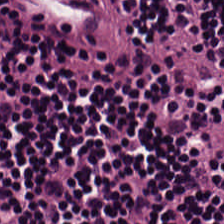Hematoxylin-and-eosin stained section. The tissue here is lymphocytic infiltrate.
